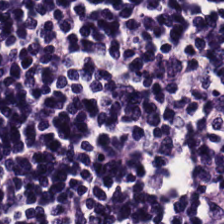H&E-stained tissue section.
Histology → lymphocytic infiltrate.
